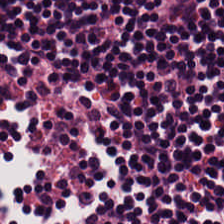224×224 px patch · H&E-stained tissue section — Finding — lymphocytes.
